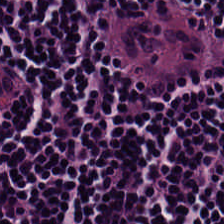H&E stain. 224×224 px tile. FFPE. The tissue here is lymphocyte aggregate.
